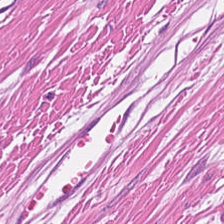H&E-stained tissue section. Finding → muscularis.
